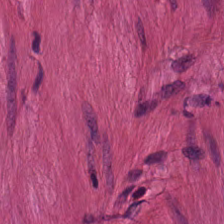Hematoxylin and eosin. Tissue type: smooth muscle.
